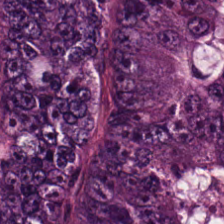Hematoxylin-and-eosin stained section — Showing tumor epithelium.
